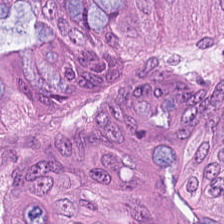This patch shows malignant epithelium.
